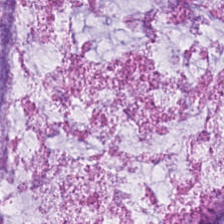0.5 microns per pixel. Hematoxylin-and-eosin stained section. 224×224 pixel tile — Mucin.
